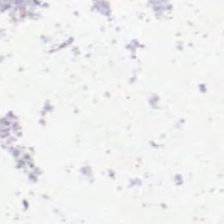Hematoxylin-and-eosin stained section; 0.5 µm per pixel. Q: What is shown here?
A: This is no tissue.
